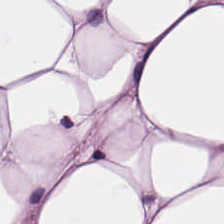Adipocytes.
